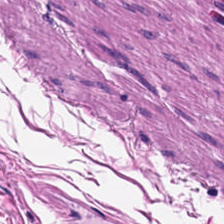H&E-stained tissue section. Q: Classify this patch.
A: This is smooth muscle.
